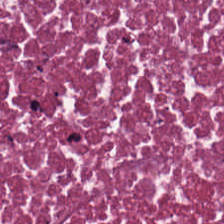Stain: H&E-stained tissue section.
Preparation: FFPE tissue section.
Tissue type: debris.
